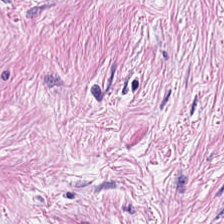{"tissue_type": "cancer-associated stroma"}
